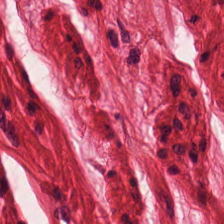H&E stain.
Histology — smooth muscle.
